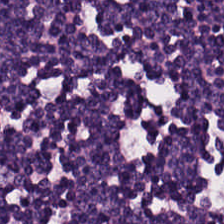H&E-stained tissue section. The predominant tissue is lymphocytic infiltrate.
